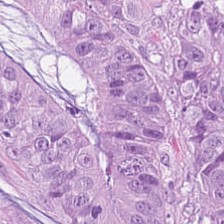Hematoxylin-and-eosin stained section. FFPE. 0.5 µm per pixel — Tissue — colorectal adenocarcinoma epithelium.
